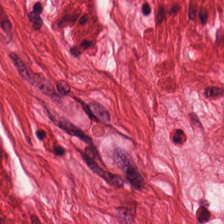Q: What does this patch show?
A: Muscularis.
